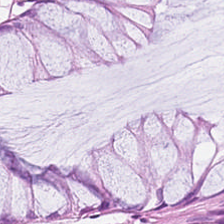224×224 pixel tile · H&E stain — This patch shows normal colonic mucosa.
